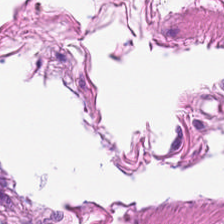224×224 pixel tile; H&E. Smooth-muscle tissue.
